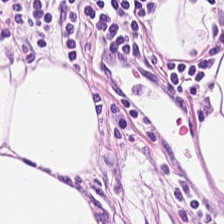0.5 microns per pixel; H&E-stained tissue section; formalin-fixed paraffin-embedded section — Q: What is shown in this field?
A: Adipose.
